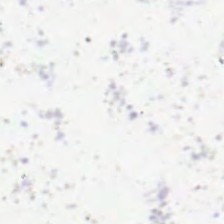This field is background (no tissue).
